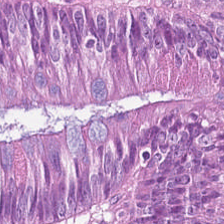Tissue: malignant epithelium.
